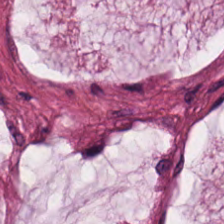Classification: mucin.
